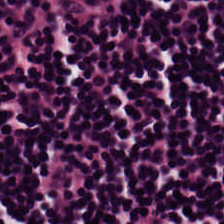Brightfield. H&E. Tissue: lymphoid infiltrate.
